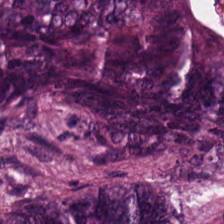Finding — tumor epithelium.
